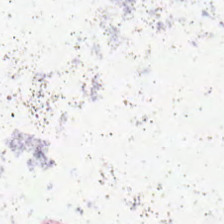H&E-stained tissue section.
Q: What is shown in this field?
A: Background (no tissue).
